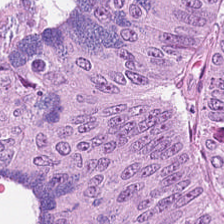Brightfield. Formalin-fixed paraffin-embedded section. H&E.
Histology — colorectal adenocarcinoma epithelium.
